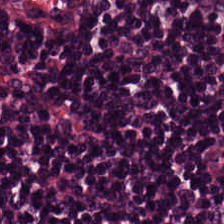H&E — lymphocytes.
